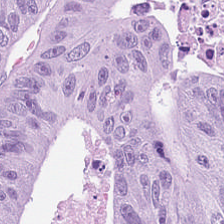FFPE; hematoxylin and eosin — The predominant tissue is colorectal adenocarcinoma.
